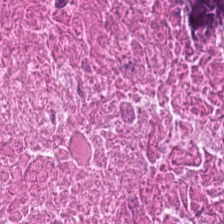H&E stain · WSI patch.
Tissue = debris.
